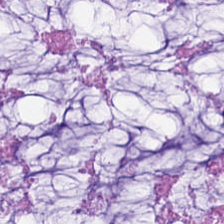H&E — This patch shows extracellular mucin.
